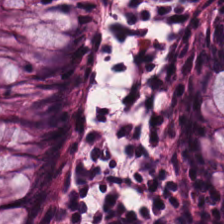H&E-stained tissue section — Showing normal colon mucosa.
